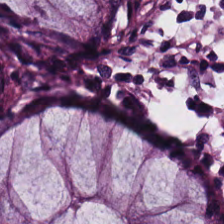Hematoxylin-and-eosin stained section.
Tissue class: benign colonic mucosa.
